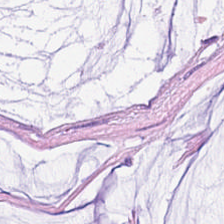H&E-stained tissue section. The tissue here is mucin.
